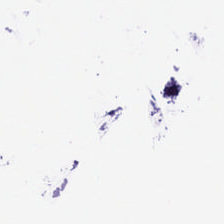H&E. Q: Classify this patch.
A: It is empty background.
